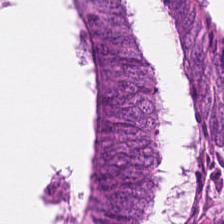224×224 px tile · H&E stain — Q: Classify this patch.
A: This is malignant epithelium.
